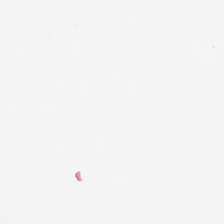H&E stain — This field is background (no tissue).
